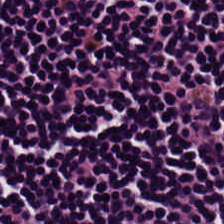H&E-stained tissue section.
Tissue = lymphoid infiltrate.
